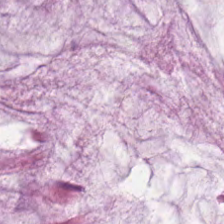H&E stain — Q: What is shown here?
A: It is extracellular mucin.
